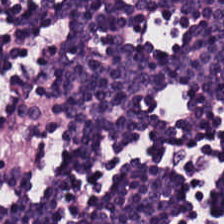Classification — lymphocyte aggregate.
